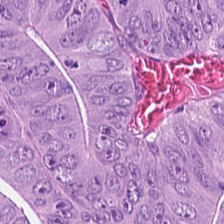Hematoxylin and eosin — Q: What tissue type is shown here?
A: The field shows tumor epithelium.
